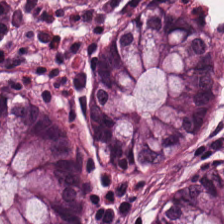FFPE. 20× equivalent magnification. H&E.
The predominant tissue is normal colonic mucosa.
